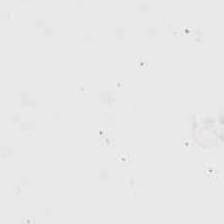0.5 µm per pixel; formalin-fixed paraffin-embedded section; hematoxylin and eosin. Histology → background.
